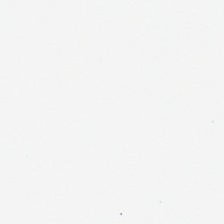No tissue present; background only.
